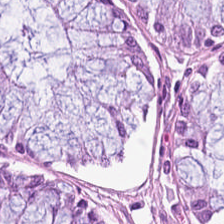0.5 microns per pixel · hematoxylin and eosin.
Histology — normal colon mucosa.
